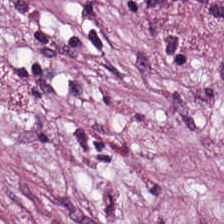Formalin-fixed paraffin-embedded section. 0.5 µm/px. Hematoxylin and eosin.
Predominantly cancer-associated stroma.
